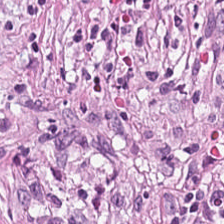H&E stain — Histology → tumor stroma.
